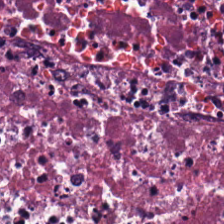Predominantly necrotic debris.
